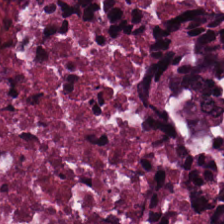H&E — Q: Identify the tissue.
A: This is necrotic debris.
